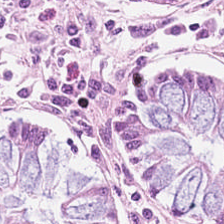Hematoxylin and eosin — The predominant tissue is benign colonic mucosa.
